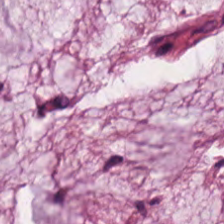Hematoxylin-and-eosin stained section; formalin-fixed paraffin-embedded section.
The tissue is mucus.
